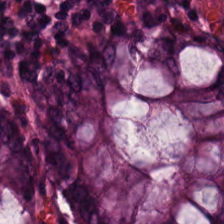Stain: H&E.
Tissue: benign colonic mucosa.
